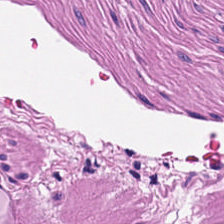Impression — smooth-muscle tissue.
